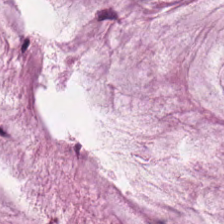H&E stain.
Q: What is the predominant tissue type?
A: Mucin.
